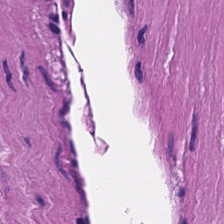Stain: hematoxylin-and-eosin stained section.
Predominant tissue: smooth muscle.
